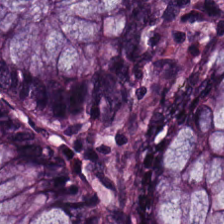The predominant tissue is non-neoplastic colon mucosa.
